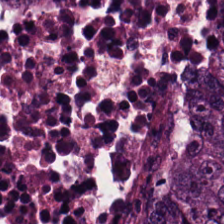Hematoxylin and eosin. Q: Identify the tissue.
A: The field shows adenocarcinoma.
